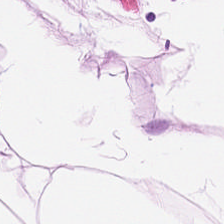Stain: hematoxylin and eosin.
Tissue class: adipose tissue.
